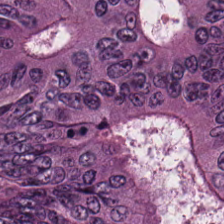H&E-stained tissue section. 0.5 µm per pixel. 224×224 px patch.
Showing colorectal adenocarcinoma.
